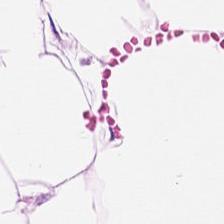H&E — adipocytes.
